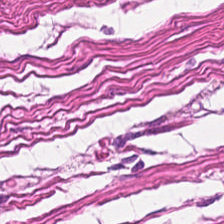Q: What tissue is shown?
A: Muscularis.
